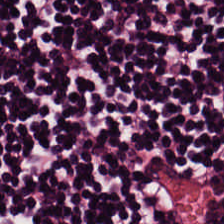Q: Classify this patch.
A: This is lymphocytes.
